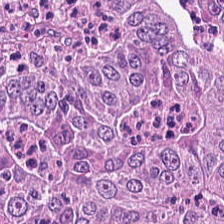H&E. Q: What is shown in this field?
A: This is colorectal adenocarcinoma epithelium.
